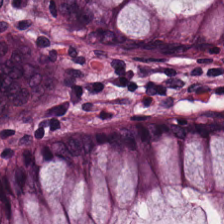224×224 px tile · 0.5 microns per pixel · H&E. Q: What tissue type is shown here?
A: This is benign colonic mucosa.
